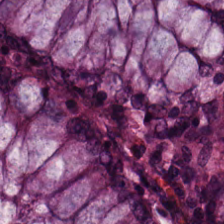FFPE; hematoxylin-and-eosin stained section — Q: Classify this patch.
A: This is non-neoplastic colon mucosa.
